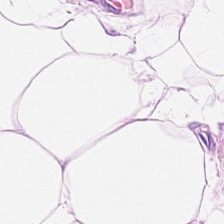Stain: H&E stain.
Tile size: 224×224 px tile.
Tissue type: adipose tissue.
